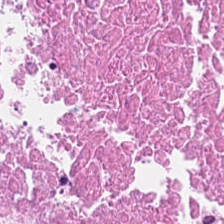Hematoxylin-and-eosin stained section.
{"tissue_type": "debris"}
